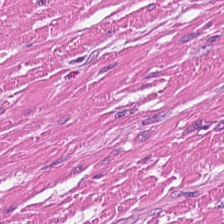H&E stain · FFPE tissue section · 224×224 px tile. Smooth-muscle tissue.
